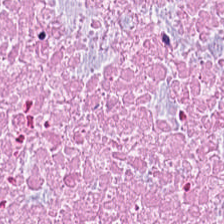Hematoxylin and eosin — Histology → necrotic debris.
